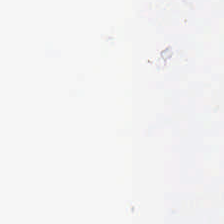The content is background.
